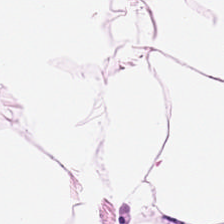Hematoxylin and eosin. Brightfield.
This field is adipocytes.
